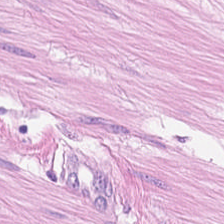Hematoxylin-and-eosin stained section — Classification = smooth muscle.
